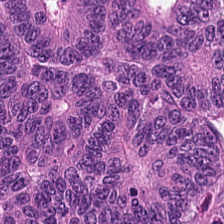H&E-stained tissue section; 224×224 px patch; brightfield microscopy. Finding → malignant epithelium.
